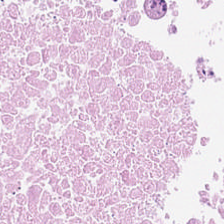Hematoxylin and eosin. Q: What tissue type is shown here?
A: The field shows debris.
